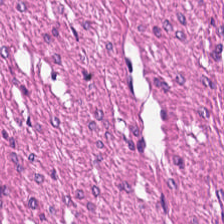Showing smooth muscle.
